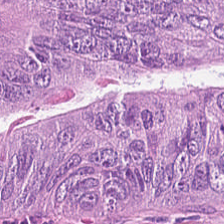Stain: H&E stain.
Tissue type: colorectal adenocarcinoma epithelium.
